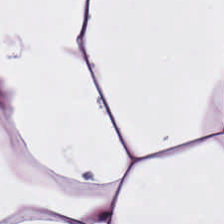Stain: H&E stain.
Tile size: 224×224 px tile.
Acquisition: WSI patch.
Tissue type: adipose tissue.
